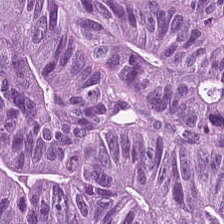Brightfield; hematoxylin-and-eosin stained section. Q: Identify the tissue.
A: It is colorectal adenocarcinoma epithelium.
